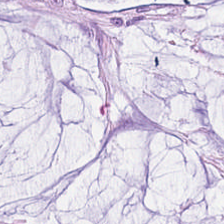The predominant tissue is extracellular mucin.
